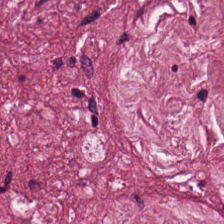Q: Identify the tissue.
A: The field shows cancer-associated stroma.
